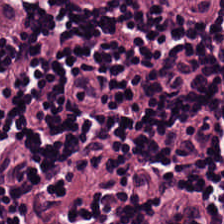Hematoxylin-and-eosin stained section. Q: What tissue is shown?
A: It is lymphocytes.
